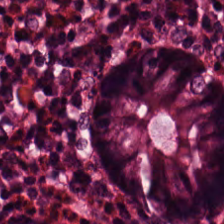Whole-slide-image patch; H&E-stained tissue section.
This field is normal colonic mucosa.
